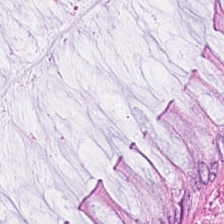H&E stain — Non-neoplastic colon mucosa.
